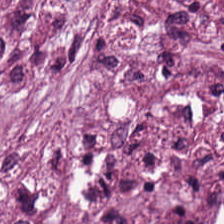Predominant tissue: tumor stroma.
